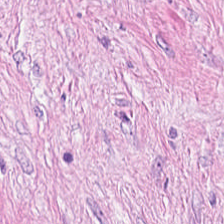This patch shows cancer-associated stroma.
